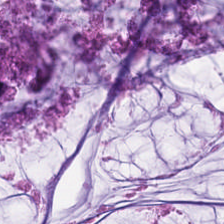224×224 pixel tile · hematoxylin-and-eosin stained section. Extracellular mucin.
